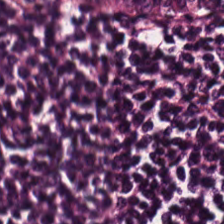Hematoxylin and eosin · WSI patch · formalin-fixed paraffin-embedded section. Tissue type — lymphocyte aggregate.
